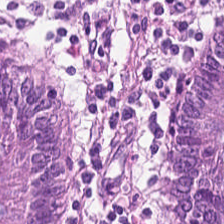Hematoxylin and eosin; FFPE tissue section. Predominant tissue — normal colonic mucosa.
